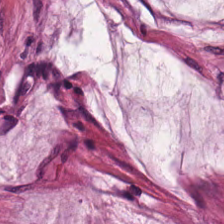Stain: H&E-stained tissue section.
Predominant tissue: mucin.
